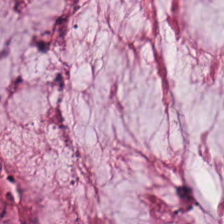H&E-stained tissue section · whole-slide-image patch.
Tissue: mucin.
